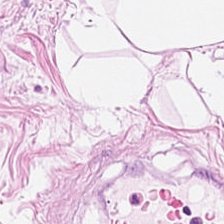Stain: H&E.
Resolution: 20× equivalent magnification.
Predominant tissue: fat tissue.
